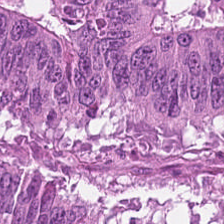H&E stain.
The predominant tissue is tumor epithelium.
